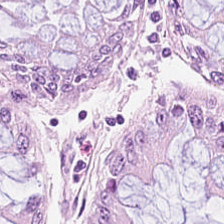Hematoxylin-and-eosin stained section — Predominantly benign colonic mucosa.
